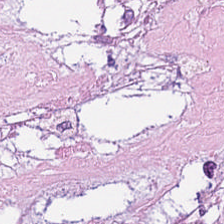Hematoxylin-and-eosin stained section — The tissue class is cellular debris.
